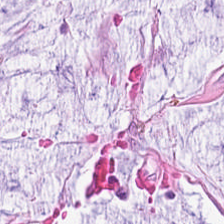H&E stain.
Q: Identify the tissue.
A: Mucin.
